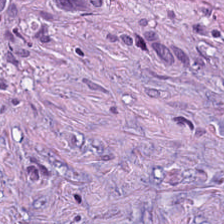H&E.
Classification: tumor-associated stroma.
